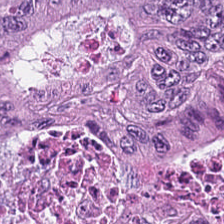20× equivalent magnification · hematoxylin-and-eosin stained section. Tissue class — colorectal adenocarcinoma.
